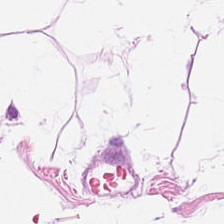Hematoxylin-and-eosin stained section; FFPE.
Q: What is shown in this field?
A: Adipocytes.
